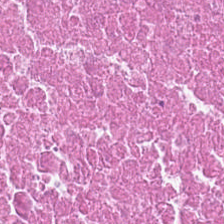The predominant tissue is debris.
